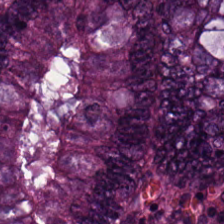224×224 pixel tile · H&E.
This field is colorectal adenocarcinoma.
